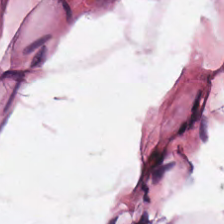0.5 microns per pixel · hematoxylin and eosin · formalin-fixed paraffin-embedded section. {"tissue_type": "adipose tissue"}
